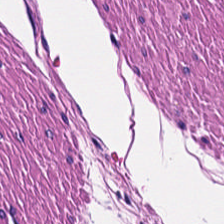H&E patch showing smooth-muscle tissue.
